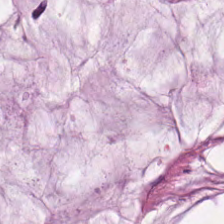Formalin-fixed paraffin-embedded section. H&E.
Histology → extracellular mucin.
